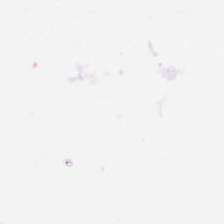H&E. Empty field — no tissue.
